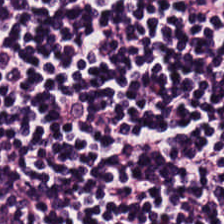Hematoxylin-and-eosin section: lymphocytes.
